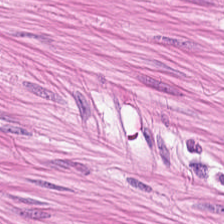Q: What is shown in this field?
A: Smooth muscle.
